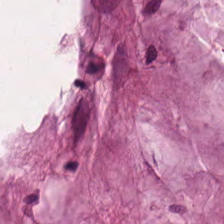Q: What does this patch show?
A: The field shows mucus.
